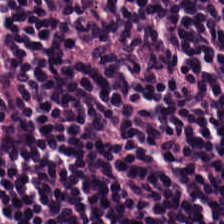Stain: H&E.
Tissue class: lymphocyte aggregate.
